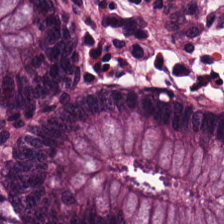H&E. Brightfield microscopy. 224×224 pixel tile — Normal colon mucosa.
